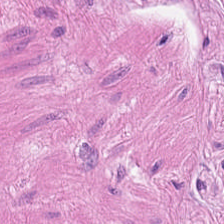Hematoxylin and eosin. Showing muscularis.
